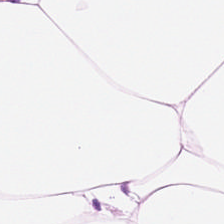224×224 px patch · H&E. This field is adipocytes.
